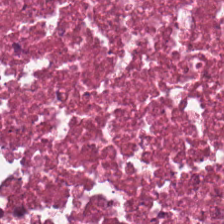224×224 px tile; H&E stain; brightfield microscopy — Predominant tissue — cellular debris.
